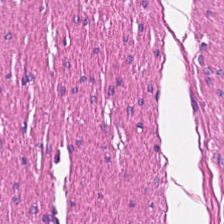Hematoxylin and eosin. {"tissue_type": "smooth-muscle tissue"}
